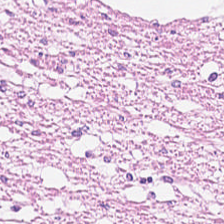Hematoxylin and eosin — Smooth-muscle tissue.
